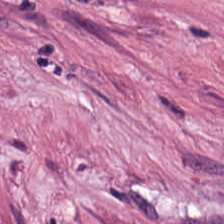0.5 µm/px. H&E — This field is desmoplastic stroma.
